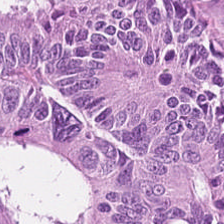Stain: hematoxylin and eosin.
Acquisition: WSI patch.
Classification: adenocarcinoma.
